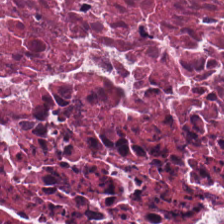Hematoxylin-and-eosin stained section · 224×224 px patch · 0.5 microns per pixel. The tissue here is necrotic debris.
